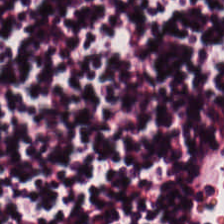Hematoxylin and eosin · whole-slide-image patch.
Tissue = lymphocyte aggregate.
